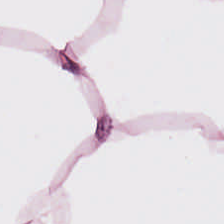Hematoxylin-and-eosin stained section — Classification = fat tissue.
